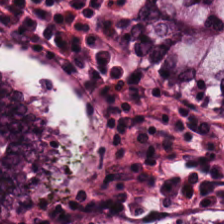Stain: H&E.
Classification: normal colon mucosa.
